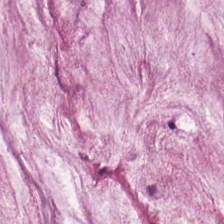Hematoxylin and eosin.
This field is mucus.
